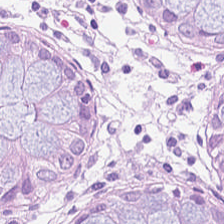0.5 µm/px. Whole-slide-image patch. H&E-stained tissue section.
Q: What tissue type is shown here?
A: It is benign colonic mucosa.
